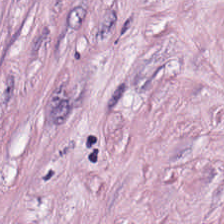Q: Identify the tissue.
A: The field shows tumor-associated stroma.
